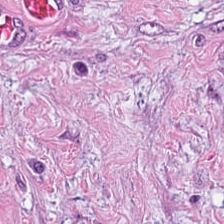Hematoxylin and eosin.
Q: What is shown in this field?
A: Desmoplastic stroma.
